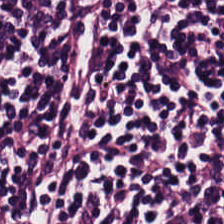H&E stain.
This field is lymphocyte aggregate.
